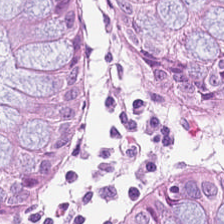0.5 µm per pixel · H&E.
Histology → normal colon mucosa.
